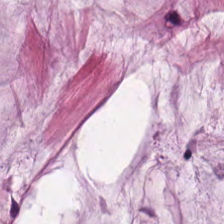H&E.
Tissue type: mucin.
